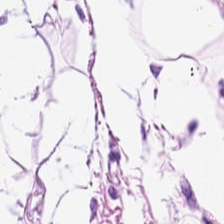Q: What is shown here?
A: Adipose.
